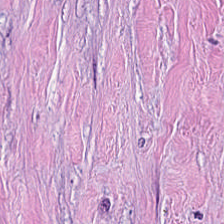H&E stain — The predominant tissue is tumor-associated stroma.
